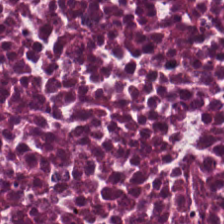Stain: H&E.
Classification: necrotic debris.
